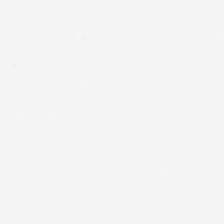H&E-stained tissue section. Content = empty background.
